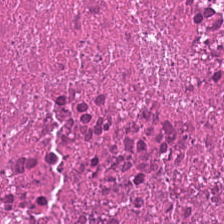Q: What does this patch show?
A: Debris.
